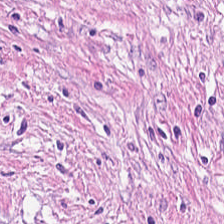Q: What is shown in this field?
A: This is cancer-associated stroma.
